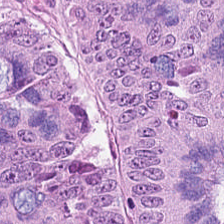H&E stain; 224×224 pixel tile. This patch shows tumor epithelium.
